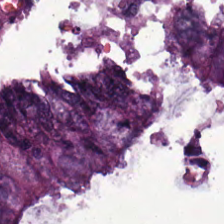Hematoxylin-and-eosin stained section. This patch shows colorectal adenocarcinoma epithelium.
